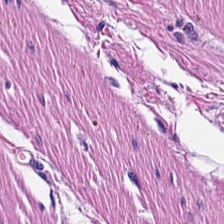Hematoxylin and eosin — Tissue class: muscularis.
